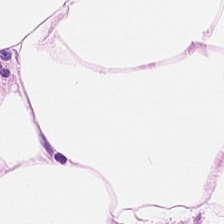H&E stain. 224×224 px tile. Brightfield microscopy. This field is adipose.
